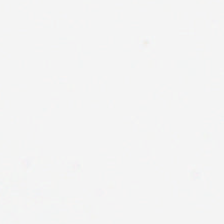H&E · 224×224 px patch — {"content": "no tissue"}
